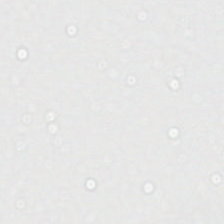224×224 px tile. H&E stain. 0.5 µm/px — Empty field — background.
